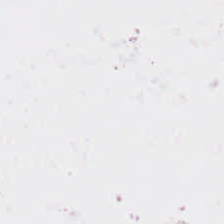H&E stain.
Field content: background (no tissue).
